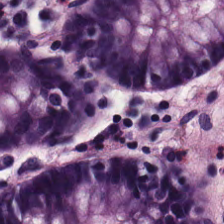Whole-slide-image patch. H&E stain — Classification = non-neoplastic colon mucosa.
